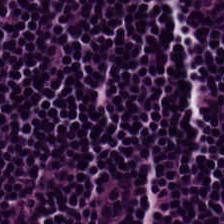The predominant tissue is lymphocyte aggregate.
